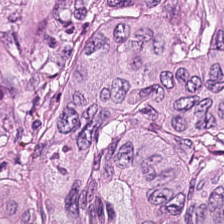Hematoxylin and eosin. The tissue is colorectal adenocarcinoma.
